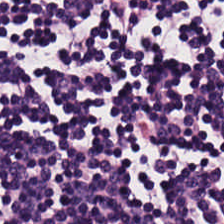Formalin-fixed paraffin-embedded section; H&E.
Finding → lymphocytic infiltrate.
